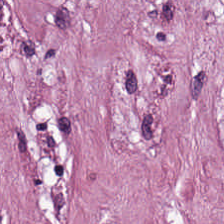FFPE; hematoxylin-and-eosin stained section — This patch shows desmoplastic stroma.
